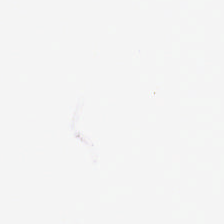Stain: hematoxylin-and-eosin stained section.
Classification: empty background.
